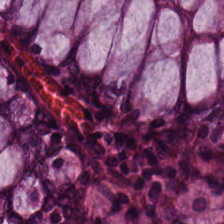FFPE · hematoxylin-and-eosin stained section. Tissue — normal colonic mucosa.
